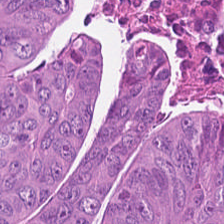Q: What tissue type is shown here?
A: This is adenocarcinoma.
